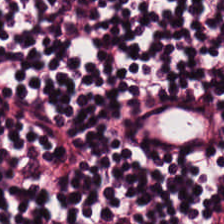Stain: hematoxylin and eosin.
Preparation: formalin-fixed paraffin-embedded section.
Tissue: lymphoid infiltrate.
